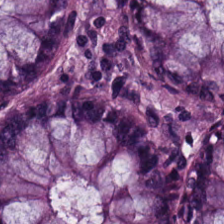FFPE · H&E — This field is non-neoplastic colon mucosa.
